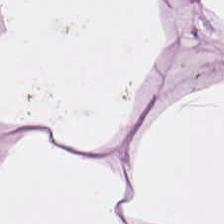WSI patch; hematoxylin and eosin. Adipose.
